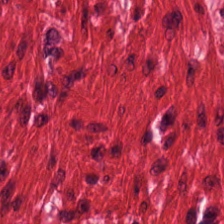Predominant tissue = smooth-muscle tissue.
